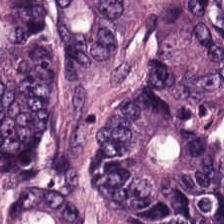Hematoxylin-and-eosin stained section.
Predominantly malignant epithelium.
